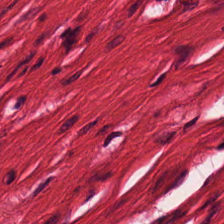H&E-stained tissue section.
Smooth muscle.
